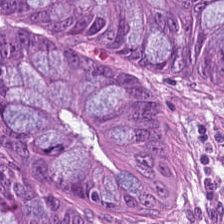0.5 µm per pixel · hematoxylin and eosin. Showing malignant epithelium.
